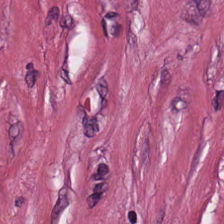WSI patch; H&E-stained tissue section; 224×224 pixel tile — Tissue type = desmoplastic stroma.
